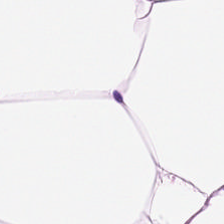H&E-stained tissue section.
This field is adipose.
